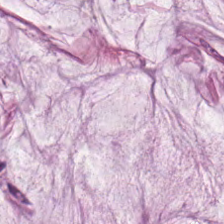The tissue class is mucus.
